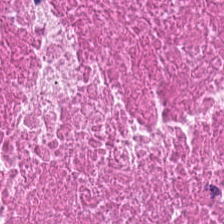Hematoxylin-and-eosin stained section.
Necrotic debris.
